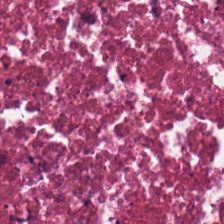Hematoxylin-and-eosin stained section. Tissue = necrotic debris.
